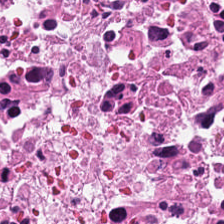H&E stain. Showing debris.
